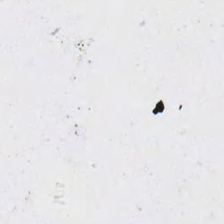Hematoxylin and eosin; formalin-fixed paraffin-embedded section.
No tissue present; background only.
